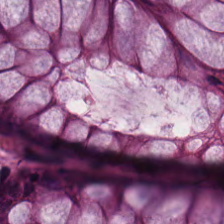H&E · 0.5 µm per pixel · 224×224 pixel tile. This field is benign colonic mucosa.
